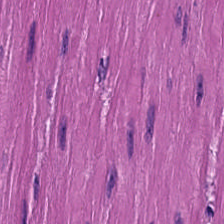H&E stain.
Q: Identify the tissue.
A: This is muscularis.
